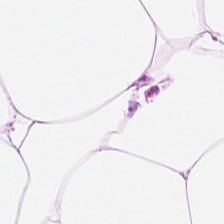H&E patch showing adipose tissue.
